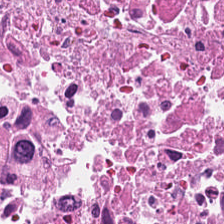FFPE. H&E-stained tissue section. {"tissue_type": "debris"}
